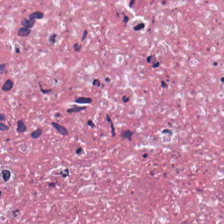Hematoxylin-and-eosin stained section — Tissue class: debris.
